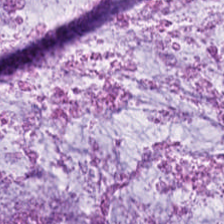H&E-stained tissue section — Impression — extracellular mucin.
